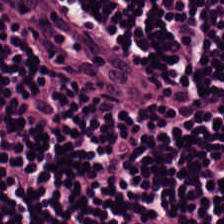Hematoxylin-and-eosin stained section · 224×224 px tile.
Q: What is shown in this field?
A: Lymphoid infiltrate.
